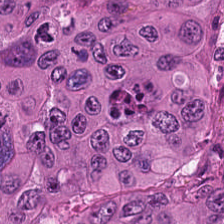Hematoxylin and eosin.
Predominant tissue — tumor epithelium.
